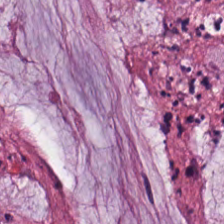H&E stain.
Q: What is the predominant tissue type?
A: The field shows mucus.
